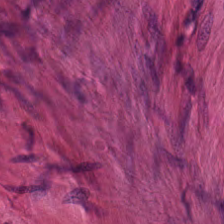Hematoxylin-and-eosin stained section — Predominantly smooth muscle.
